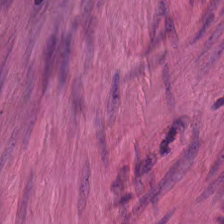224×224 px tile. Whole-slide-image patch. H&E stain — The tissue is muscularis.
